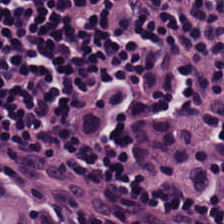Stain: H&E stain.
Predominant tissue: lymphocytes.
